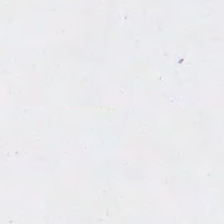H&E-stained tissue section. 224×224 px tile.
Classification: background (no tissue).
